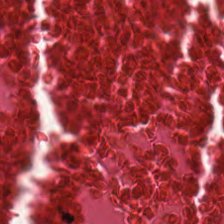Hematoxylin-and-eosin stained section.
Finding — debris.
